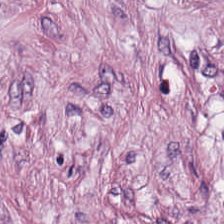Formalin-fixed paraffin-embedded section; H&E-stained tissue section — Q: What is the predominant tissue type?
A: Desmoplastic stroma.
